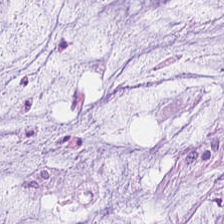H&E-stained tissue section. Predominantly mucin.
